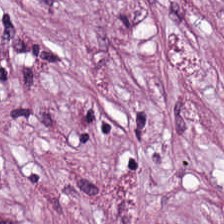Stain: H&E-stained tissue section.
Tissue class: tumor-associated stroma.
